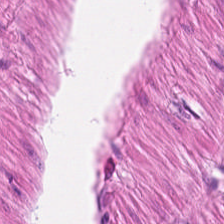Histology → smooth-muscle tissue.
